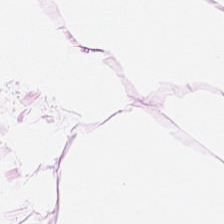Stain: H&E.
Predominant tissue: adipose tissue.
